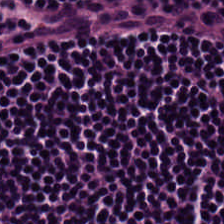Stain: hematoxylin-and-eosin stained section.
Tile size: 224×224 pixel tile.
Tissue type: lymphoid infiltrate.
